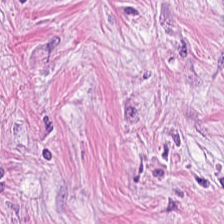H&E. Q: What tissue type is shown here?
A: Desmoplastic stroma.
